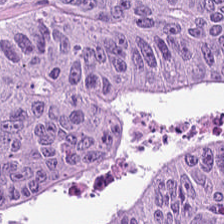H&E stain.
The predominant tissue is malignant epithelium.
